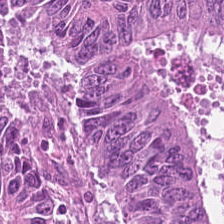Hematoxylin-and-eosin stained section. Whole-slide-image patch.
This field is colorectal adenocarcinoma epithelium.
